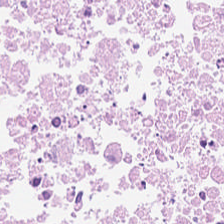H&E-stained tissue section. Tissue — debris.
